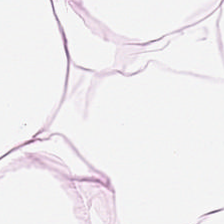Hematoxylin and eosin.
Q: What is shown here?
A: This is adipose.
